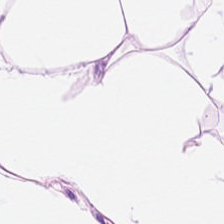H&E; 20× equivalent magnification; brightfield. Finding — adipose.
